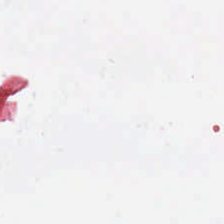Hematoxylin-and-eosin stained section. Content: no tissue.
